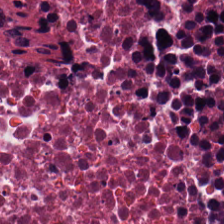FFPE tissue section · brightfield microscopy · hematoxylin-and-eosin stained section. The tissue here is cellular debris.
